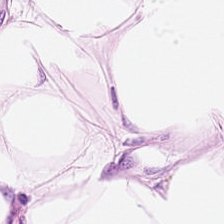Stain: H&E-stained tissue section.
Tissue type: adipocytes.
